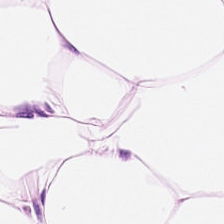{"tissue_type": "adipocytes"}
